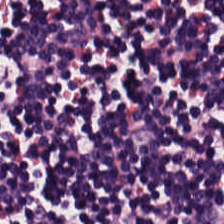H&E-stained tissue section. The tissue here is lymphocytes.
